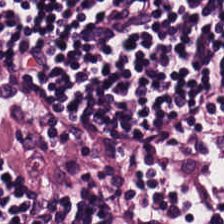0.5 µm/px; hematoxylin and eosin.
The predominant tissue is lymphocytes.
